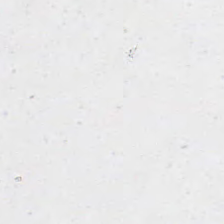Hematoxylin-and-eosin stained section. Content = background (no tissue).
